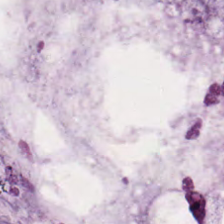20× equivalent magnification · 224×224 px tile · H&E stain — Extracellular mucin.
